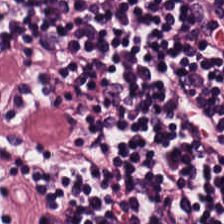H&E. {"tissue_type": "lymphocytes"}
